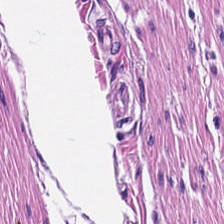Tissue: smooth muscle.
